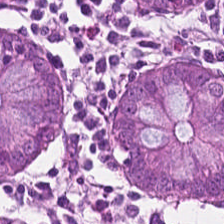This patch shows benign colonic mucosa.
